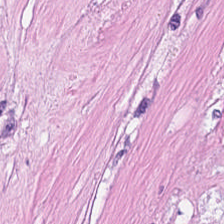Q: What tissue type is shown here?
A: This is debris.
